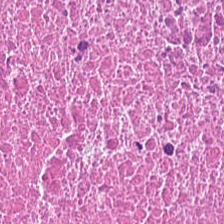Hematoxylin-and-eosin stained section — Classification — debris.
